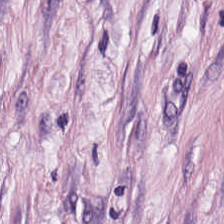Q: What tissue is shown?
A: This is desmoplastic stroma.
